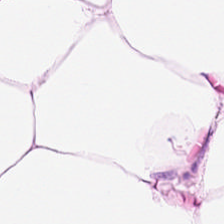H&E-stained tissue section — {"tissue_type": "adipose"}
